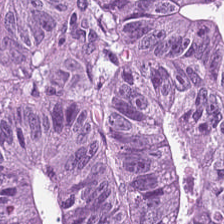Stain: H&E stain.
Classification: colorectal adenocarcinoma.
